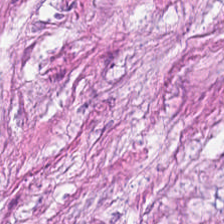Tissue type = cancer-associated stroma.
